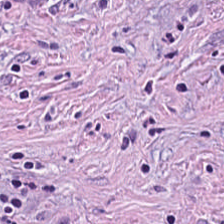H&E-stained tissue section. The classification is desmoplastic stroma.
